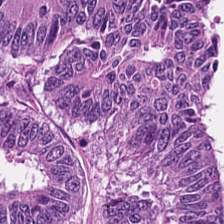The classification is malignant epithelium.
